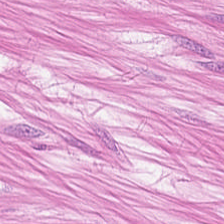H&E stain.
Showing smooth-muscle tissue.
